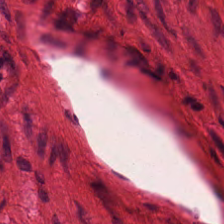This patch shows muscularis.
